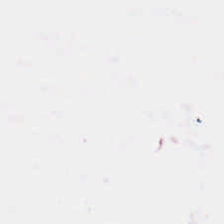FFPE tissue section; H&E stain.
{"content": "no tissue"}
